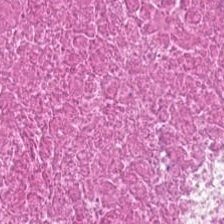H&E. Showing cellular debris.
